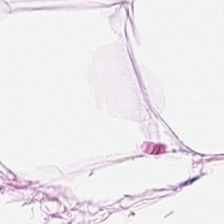The tissue is adipocytes.
